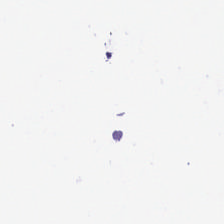Background — no tissue in this field.
